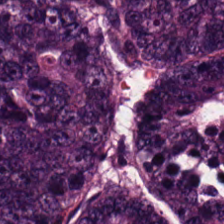The predominant tissue is tumor epithelium.
